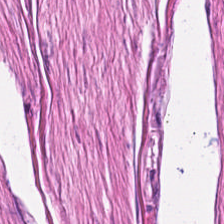Tissue type = muscularis.
